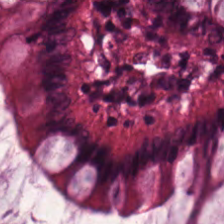Stain: hematoxylin and eosin.
Preparation: formalin-fixed paraffin-embedded section.
Resolution: 0.5 µm per pixel.
Tissue class: normal colonic mucosa.
